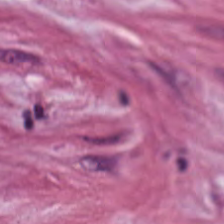Brightfield; H&E stain. The tissue here is desmoplastic stroma.
